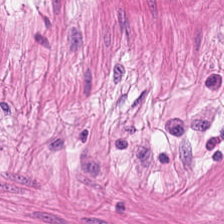Hematoxylin-and-eosin stained section — This field is smooth-muscle tissue.
